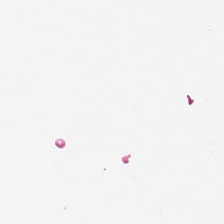Brightfield microscopy. Hematoxylin and eosin.
Content — background (no tissue).
